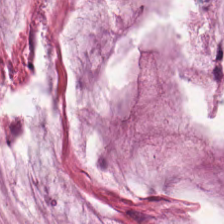H&E-stained tissue section; 20× equivalent magnification.
Showing extracellular mucin.
